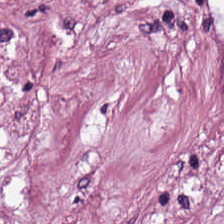Showing tumor-associated stroma.
